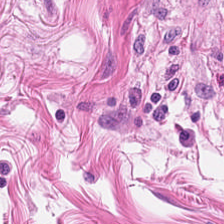Hematoxylin-and-eosin stained section — Predominant tissue — smooth-muscle tissue.
